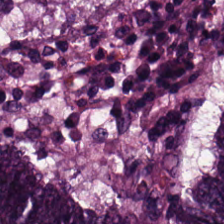224×224 pixel tile. H&E — Predominantly colorectal adenocarcinoma.
